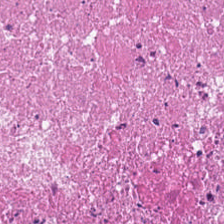224×224 px tile. Hematoxylin and eosin. The tissue here is debris.
